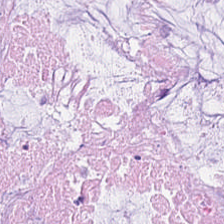Hematoxylin and eosin — Mucus.
